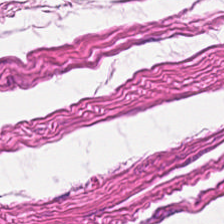Predominantly smooth muscle.
